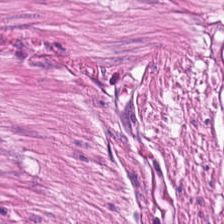Hematoxylin and eosin · 0.5 µm/px.
Q: Identify the tissue.
A: Smooth muscle.
